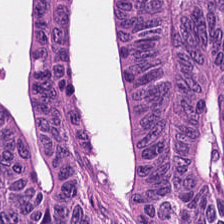224×224 px tile; hematoxylin and eosin.
The tissue here is adenocarcinoma.
